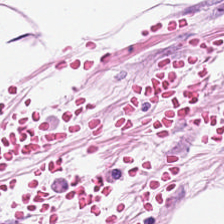Hematoxylin and eosin.
The predominant tissue is fat tissue.
